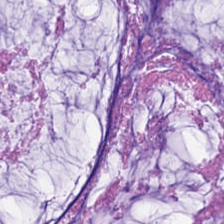Stain: H&E.
Tissue: extracellular mucin.
